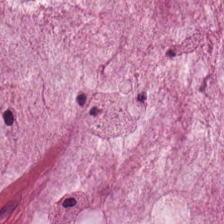Q: What is the predominant tissue type?
A: Mucin.
